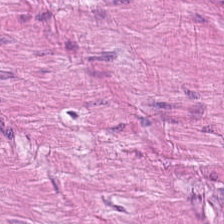224×224 pixel tile. H&E stain — Classification = smooth-muscle tissue.
